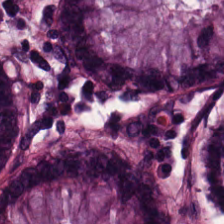Stain: hematoxylin and eosin.
Classification: non-neoplastic colon mucosa.
